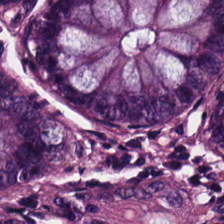FFPE. H&E stain. Whole-slide-image patch.
This patch shows normal colon mucosa.
